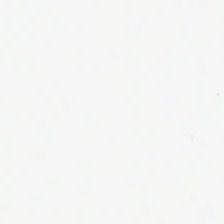Stain: hematoxylin and eosin.
Acquisition: WSI patch.
Content: background.
